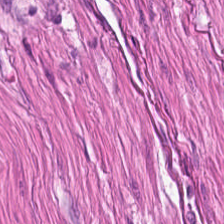Hematoxylin-and-eosin stained section — Histology → smooth-muscle tissue.
